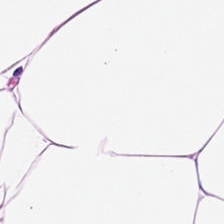Hematoxylin and eosin.
This field is fat tissue.
